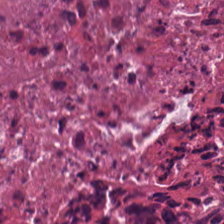H&E · WSI patch.
Predominantly debris.
